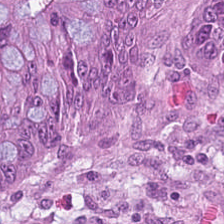H&E stain — The predominant tissue is malignant epithelium.
